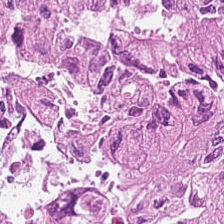Stain: H&E.
Resolution: 0.5 µm per pixel.
Tissue: malignant epithelium.
